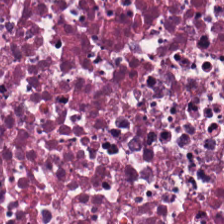Hematoxylin and eosin — Finding — cellular debris.
